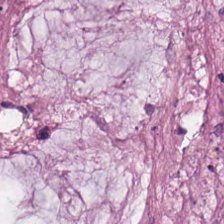H&E stain. Showing extracellular mucin.
